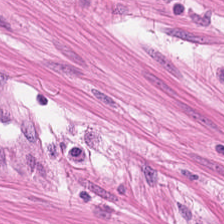H&E-stained tissue section.
Q: What is shown in this field?
A: It is muscularis.
